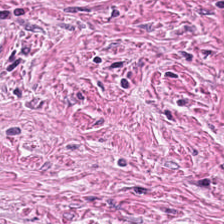Brightfield microscopy · 0.5 µm per pixel · H&E stain. Histology → cancer-associated stroma.
